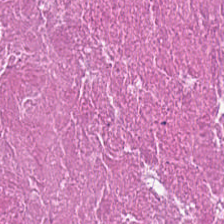H&E — Histology → cellular debris.
